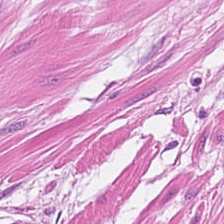Hematoxylin-and-eosin stained section — Impression — muscularis.
